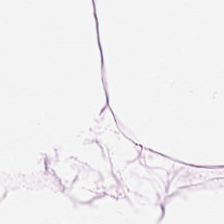Hematoxylin-and-eosin section: fat tissue.
